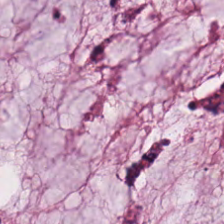224×224 px tile. H&E-stained tissue section. This field is extracellular mucin.
